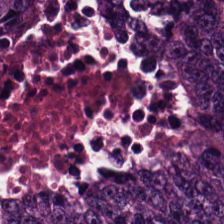Stain: H&E.
Tissue: malignant epithelium.
